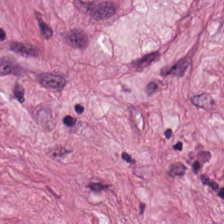H&E · FFPE tissue section — This patch shows tumor stroma.
